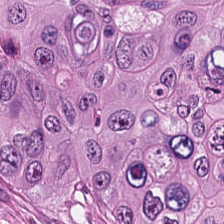H&E. The tissue class is colorectal adenocarcinoma.
